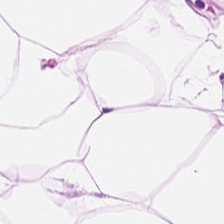0.5 µm per pixel. H&E-stained tissue section.
Predominantly adipose.
